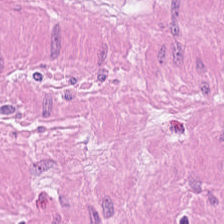Formalin-fixed paraffin-embedded section. H&E.
Histology — smooth-muscle tissue.
